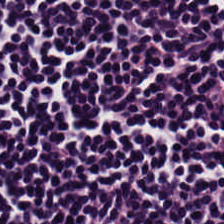Hematoxylin and eosin — {"tissue_type": "lymphocytic infiltrate"}
